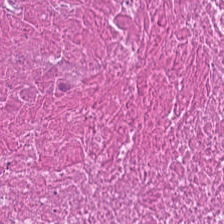FFPE. H&E. 224×224 pixel tile. Classification = cellular debris.
